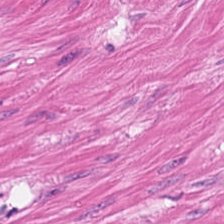Impression — muscularis.
